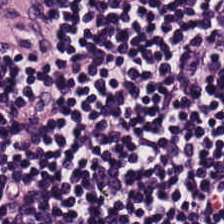H&E-stained tissue section showing lymphocytes.
